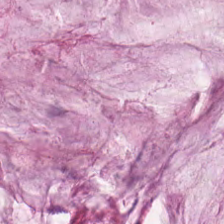WSI patch. H&E stain. 224×224 pixel tile.
This field is extracellular mucin.
